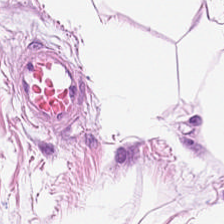H&E.
Predominantly adipose tissue.
